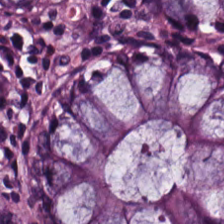H&E stain — {"tissue_type": "benign colonic mucosa"}
